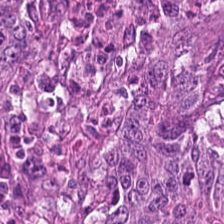H&E-stained tissue section; FFPE — Classification — colorectal adenocarcinoma epithelium.
